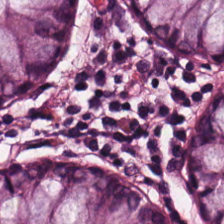Hematoxylin-and-eosin stained section · 0.5 microns per pixel.
Q: What tissue is shown?
A: This is normal colon mucosa.
